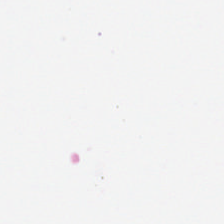Hematoxylin-and-eosin stained section. 0.5 microns per pixel. FFPE. No tissue.
